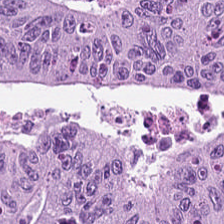H&E-stained tissue section; 224×224 px patch. The predominant tissue is colorectal adenocarcinoma.
